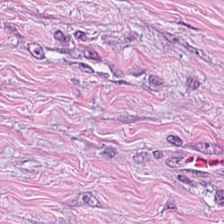Stain: hematoxylin and eosin.
Predominant tissue: tumor-associated stroma.
